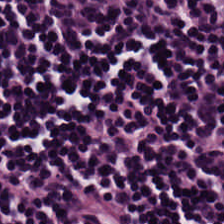20× equivalent magnification · brightfield microscopy · H&E.
{"tissue_type": "lymphocytic infiltrate"}
